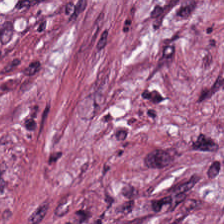Hematoxylin and eosin.
Predominantly tumor stroma.
